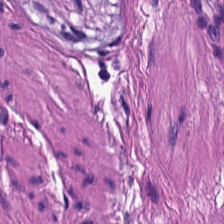224×224 px patch · hematoxylin and eosin — {"tissue_type": "muscularis"}
